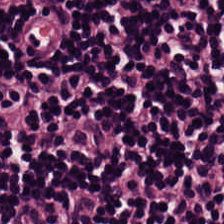Hematoxylin and eosin.
Showing lymphocytic infiltrate.
